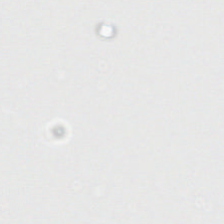WSI patch; H&E-stained tissue section.
Empty field — background (no tissue).
